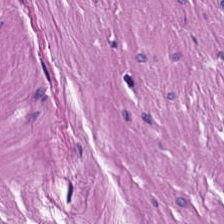H&E-stained section; the field shows smooth-muscle tissue.
